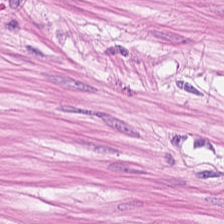Brightfield microscopy; formalin-fixed paraffin-embedded section; H&E stain — Predominantly smooth-muscle tissue.
